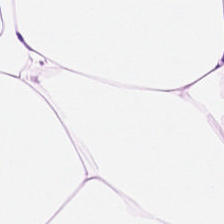H&E stain. 224×224 pixel tile.
This field is adipose tissue.
